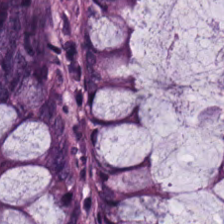Hematoxylin and eosin. Q: What is shown here?
A: The field shows normal colonic mucosa.
